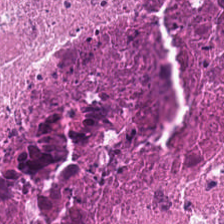0.5 µm per pixel. Brightfield. H&E-stained tissue section. The classification is cellular debris.
